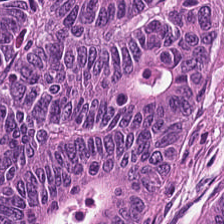Hematoxylin and eosin.
Q: What type of tissue is this?
A: Colorectal adenocarcinoma epithelium.
